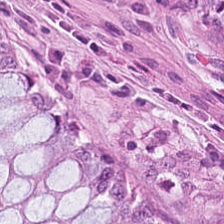Hematoxylin-and-eosin stained section. Tissue — normal colon mucosa.
